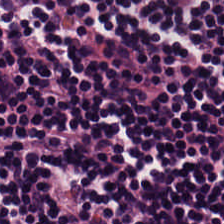Stain: hematoxylin-and-eosin stained section.
Tissue: lymphoid infiltrate.
